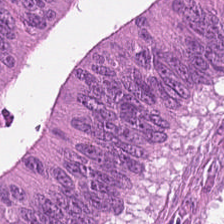H&E-stained tissue section — The tissue here is malignant epithelium.
